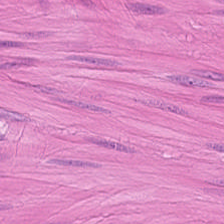Formalin-fixed paraffin-embedded section; 0.5 µm per pixel; hematoxylin and eosin — {"tissue_type": "smooth muscle"}
